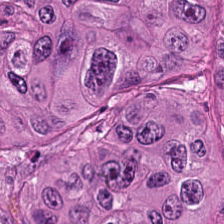Formalin-fixed paraffin-embedded section · hematoxylin-and-eosin stained section.
Showing colorectal adenocarcinoma.
